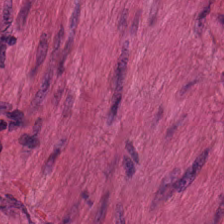This field is smooth muscle.
